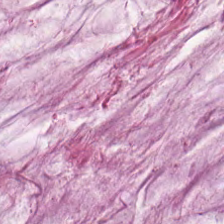Hematoxylin-and-eosin stained section · 20× equivalent magnification — Finding — extracellular mucin.
